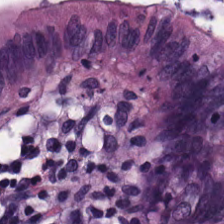Whole-slide-image patch; H&E — Predominantly non-neoplastic colon mucosa.
